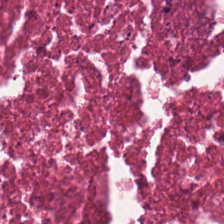H&E-stained tissue section; 0.5 microns per pixel; FFPE. Finding → necrotic debris.
